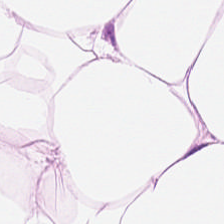Hematoxylin-and-eosin stained section. {"tissue_type": "adipocytes"}
